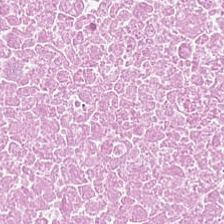Tissue type: necrotic debris.
